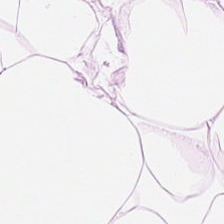Impression → fat tissue.
